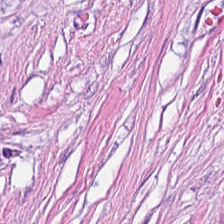Stain: hematoxylin and eosin.
Tissue: tumor stroma.
